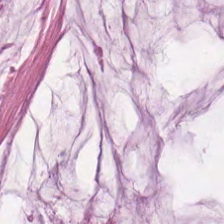H&E stain. This field is mucus.
